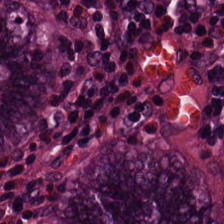Q: What is shown here?
A: Non-neoplastic colon mucosa.
